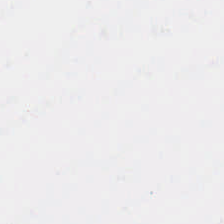WSI patch; H&E stain.
Finding — background.
